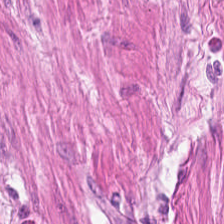Hematoxylin and eosin.
Q: What type of tissue is this?
A: Smooth muscle.
